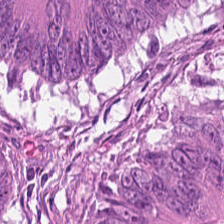Hematoxylin-and-eosin stained section.
The predominant tissue is malignant epithelium.
